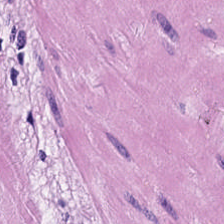Smooth muscle.
